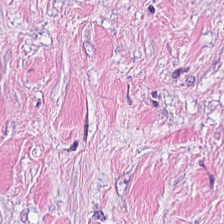Hematoxylin-and-eosin stained section — The tissue here is cancer-associated stroma.
